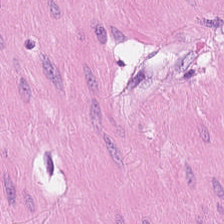0.5 microns per pixel. H&E stain. Brightfield — Predominantly smooth muscle.
